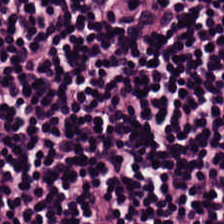H&E-stained tissue section; 0.5 microns per pixel.
Tissue type = lymphocytic infiltrate.
